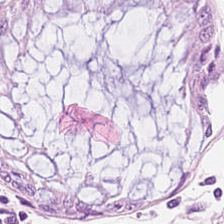H&E-stained tissue section · WSI patch.
Tissue: normal colonic mucosa.
